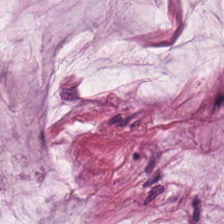{"tissue_type": "mucus"}
